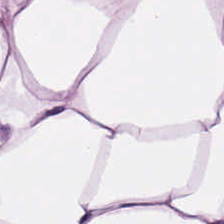H&E — Predominant tissue: fat tissue.
